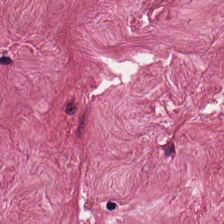This patch shows cancer-associated stroma.
